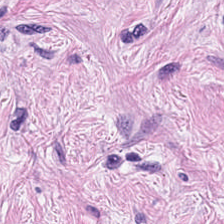H&E-stained tissue section.
Classification: cancer-associated stroma.
